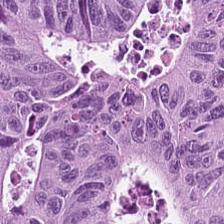Hematoxylin-and-eosin stained section; FFPE tissue section.
Q: What is shown here?
A: The field shows malignant epithelium.
